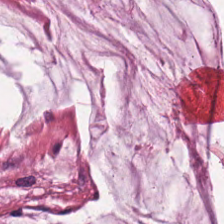Stain: hematoxylin and eosin.
Predominant tissue: extracellular mucin.
